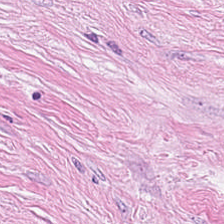H&E stain; brightfield; 224×224 px patch.
Finding — desmoplastic stroma.
